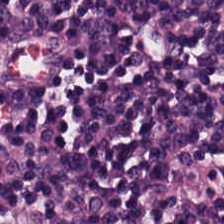20× equivalent magnification · H&E.
Impression → lymphocytic infiltrate.
